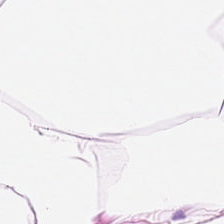H&E stain. This field is adipocytes.
